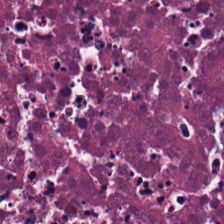H&E stain. Finding — debris.
